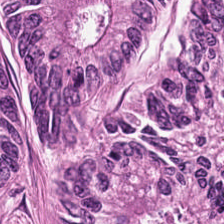Stain: H&E.
Predominant tissue: colorectal adenocarcinoma epithelium.
